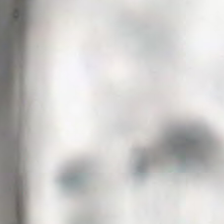Stain: H&E-stained tissue section.
Tile size: 224×224 px tile.
Resolution: 0.5 µm per pixel.
Field content: background.
